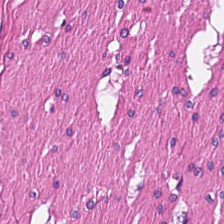Hematoxylin and eosin. Histology — smooth muscle.
